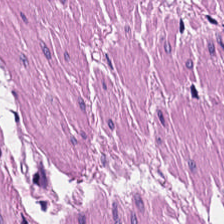H&E-stained tissue section showing muscularis.
